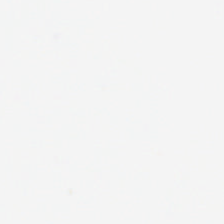H&E stain — Q: What is shown in this field?
A: Background (no tissue).
